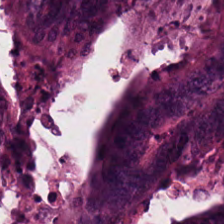Hematoxylin and eosin.
The tissue here is colorectal adenocarcinoma.
